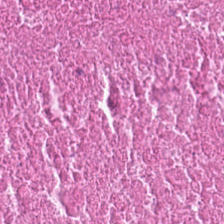H&E-stained tissue section. Tissue = necrotic debris.
